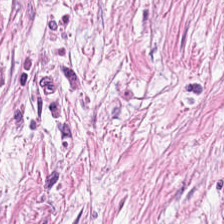Hematoxylin-and-eosin stained section — Histology — desmoplastic stroma.
